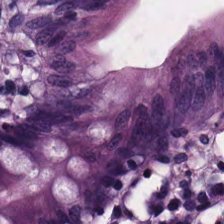H&E. 0.5 microns per pixel. Formalin-fixed paraffin-embedded section. The predominant tissue is non-neoplastic colon mucosa.
